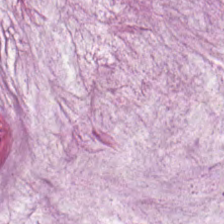H&E-stained tissue section — Tissue class: extracellular mucin.
